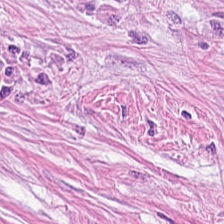H&E stain · 20× equivalent magnification. This patch shows tumor stroma.
